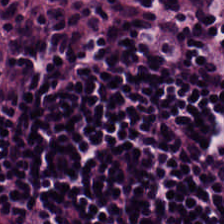20× equivalent magnification. Hematoxylin-and-eosin stained section. Classification: lymphocytic infiltrate.
